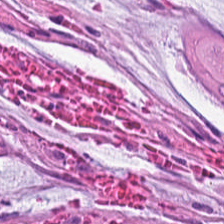Impression — extracellular mucin.
